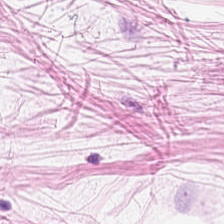Brightfield. Hematoxylin and eosin. 224×224 px tile.
Finding → adipose tissue.
